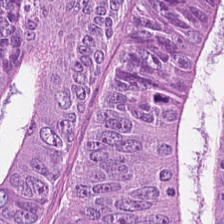H&E stain; 0.5 µm per pixel — Tumor epithelium.
